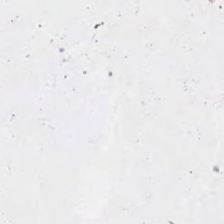224×224 px patch · H&E stain.
This field is background (no tissue).
